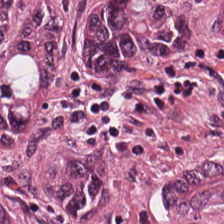The classification is malignant epithelium.
